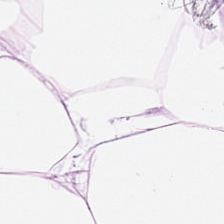H&E stain — Showing fat tissue.
